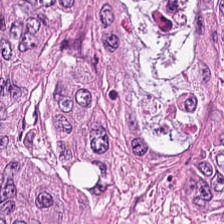The classification is colorectal adenocarcinoma epithelium.
